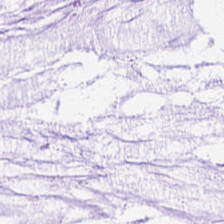Hematoxylin and eosin — Classification — extracellular mucin.
